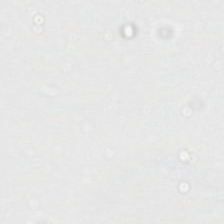Hematoxylin and eosin. Brightfield microscopy. 20× equivalent magnification. Finding → no tissue.
